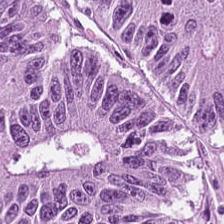20× equivalent magnification. H&E-stained tissue section. This field is tumor epithelium.
